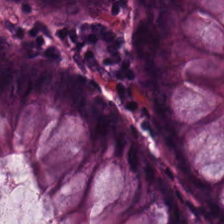H&E stain · FFPE.
Tissue type — normal colonic mucosa.
